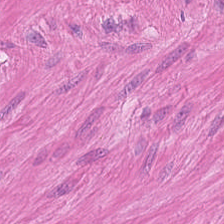Q: What type of tissue is this?
A: It is smooth muscle.
